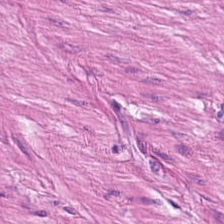Stain: H&E.
Classification: muscularis.
